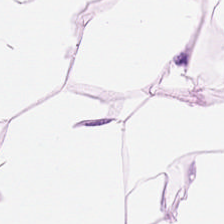H&E. Tissue type — adipocytes.
